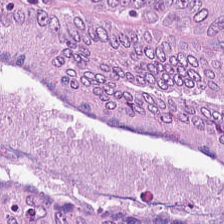H&E. Showing adenocarcinoma.
